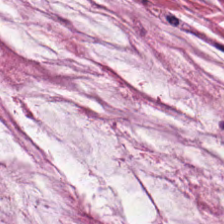Impression → extracellular mucin.
